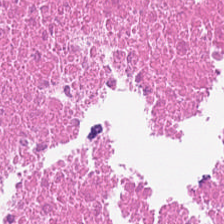Hematoxylin-and-eosin stained section. Formalin-fixed paraffin-embedded section — {"tissue_type": "cellular debris"}
